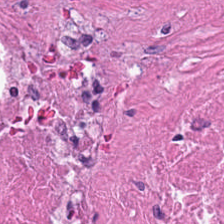WSI patch · H&E stain · 224×224 pixel tile. Q: What type of tissue is this?
A: This is necrotic debris.
